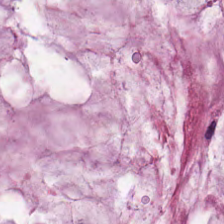The predominant tissue is extracellular mucin.
